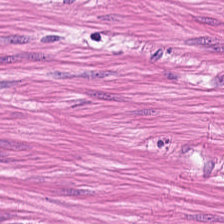H&E stain — This patch shows smooth-muscle tissue.
